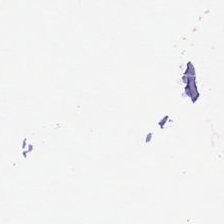Hematoxylin-and-eosin stained section — Q: What does this patch show?
A: It is background (no tissue).
